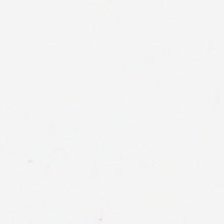Hematoxylin-and-eosin stained section — Finding → background (no tissue).
